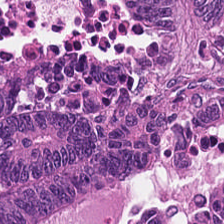Finding — adenocarcinoma.
